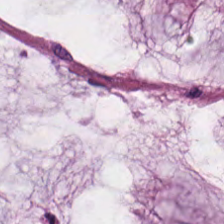Hematoxylin and eosin. 224×224 pixel tile. The predominant tissue is mucus.
